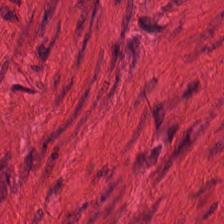H&E patch showing smooth-muscle tissue.
